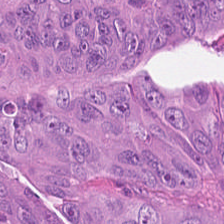Stain: H&E.
Preparation: formalin-fixed paraffin-embedded section.
Acquisition: brightfield microscopy.
Tissue class: colorectal adenocarcinoma epithelium.
